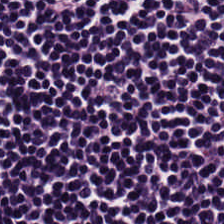224×224 px patch. 0.5 µm/px. H&E-stained tissue section.
The tissue type is lymphocyte aggregate.
